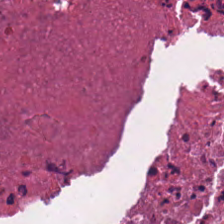Hematoxylin-and-eosin stained section; 20× equivalent magnification — Predominantly cellular debris.
